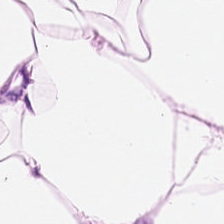224×224 pixel tile; H&E. Tissue type — adipocytes.
